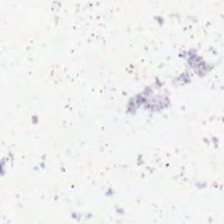This field is background (no tissue).
